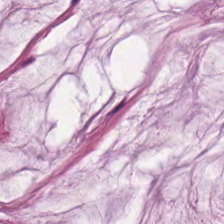H&E stain — Histology — mucin.
